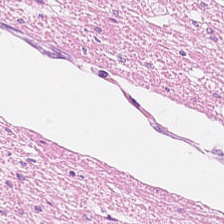H&E-stained tissue section. Smooth muscle.
